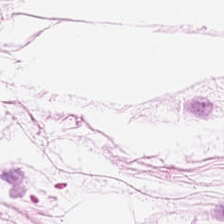H&E — Q: Identify the tissue.
A: This is adipose.
